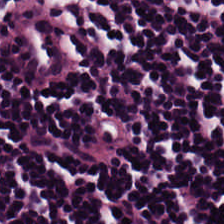H&E-stained tissue section. Tissue class — lymphoid infiltrate.
